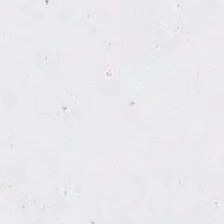H&E.
The content is no tissue.
